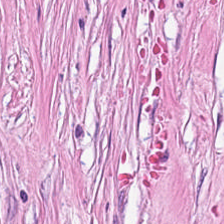Stain: H&E-stained tissue section.
Preparation: FFPE tissue section.
Tile size: 224×224 px tile.
Tissue type: tumor stroma.
